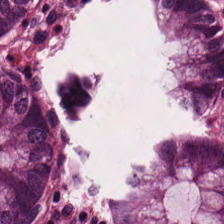WSI patch. Hematoxylin-and-eosin stained section — Classification: non-neoplastic colon mucosa.
